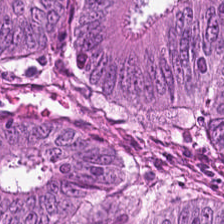The predominant tissue is malignant epithelium.
